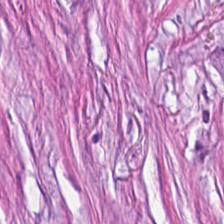H&E-stained tissue section — Q: What is shown in this field?
A: The field shows tumor stroma.
